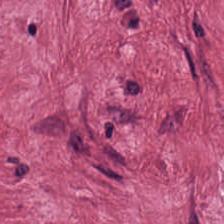H&E-stained tissue section.
Finding — desmoplastic stroma.
